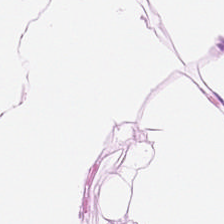Stain: H&E-stained tissue section.
Tissue type: fat tissue.
